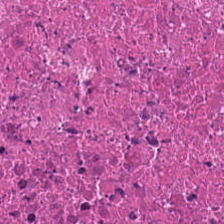Stain: H&E stain.
Acquisition: whole-slide-image patch.
Preparation: FFPE tissue section.
Classification: debris.
